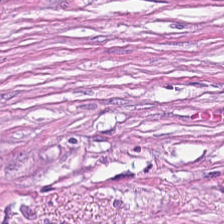224×224 pixel tile · hematoxylin-and-eosin stained section · WSI patch. Tissue = cancer-associated stroma.
